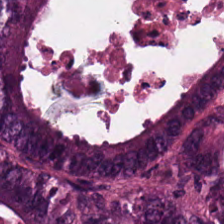20× equivalent magnification · H&E-stained tissue section · formalin-fixed paraffin-embedded section — The classification is colorectal adenocarcinoma epithelium.
